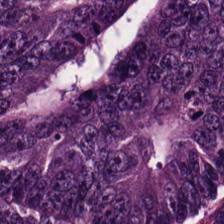Stain: hematoxylin-and-eosin stained section.
Acquisition: whole-slide-image patch.
Preparation: FFPE tissue section.
Classification: adenocarcinoma.
